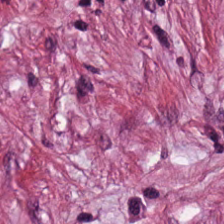H&E-stained tissue section.
Q: What type of tissue is this?
A: This is tumor-associated stroma.
